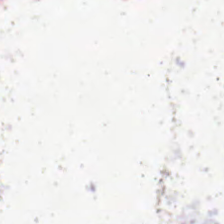Stain: H&E stain.
Acquisition: WSI patch.
Resolution: 0.5 µm/px.
Content: background.
